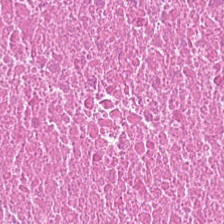H&E. Q: What is shown here?
A: It is cellular debris.
